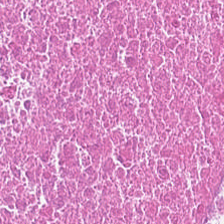Whole-slide-image patch · hematoxylin and eosin. Cellular debris.
